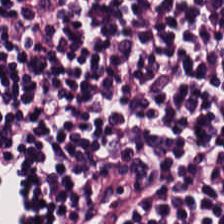H&E; brightfield — Impression — lymphocytes.
